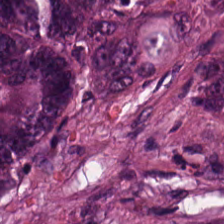Hematoxylin-and-eosin stained section.
Tissue type = malignant epithelium.
